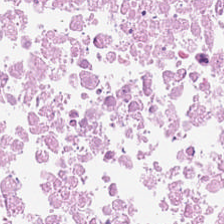H&E-stained tissue section showing necrotic debris.
